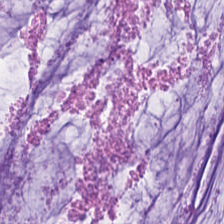Hematoxylin and eosin — The predominant tissue is mucin.
